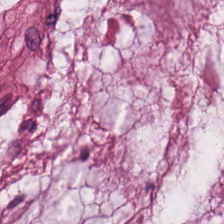Stain: H&E stain.
Acquisition: WSI patch.
Predominant tissue: mucus.
